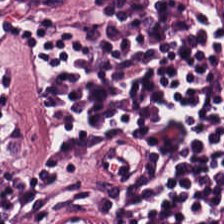20× equivalent magnification. WSI patch. H&E. Predominantly lymphoid infiltrate.
